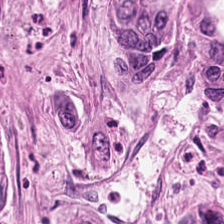Brightfield microscopy; H&E-stained tissue section; 0.5 µm/px — The tissue here is adenocarcinoma.
